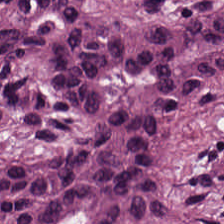Tissue type = colorectal adenocarcinoma epithelium.
